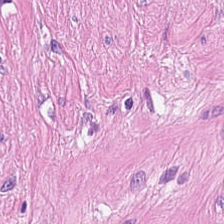H&E patch showing smooth-muscle tissue.
